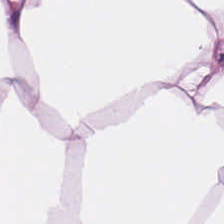H&E patch showing adipocytes.
